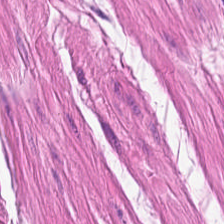Finding → muscularis.
